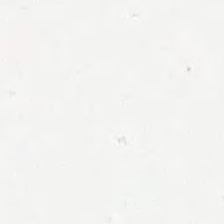Formalin-fixed paraffin-embedded section. H&E-stained tissue section.
This field is background (no tissue).
